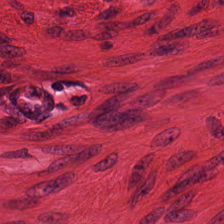0.5 µm per pixel; H&E stain.
Predominantly smooth-muscle tissue.
